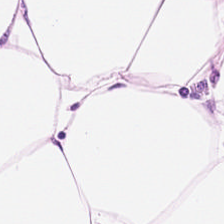H&E — Classification: adipose tissue.
